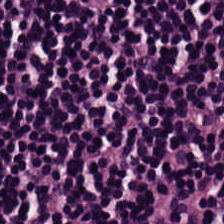This patch shows lymphocyte aggregate.
